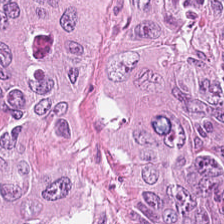Q: What type of tissue is this?
A: The field shows malignant epithelium.
